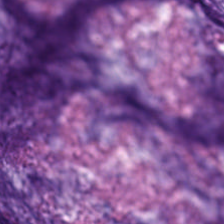H&E-stained tissue section.
Predominantly extracellular mucin.
